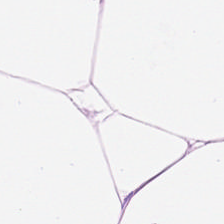H&E stain. Histology — adipocytes.
